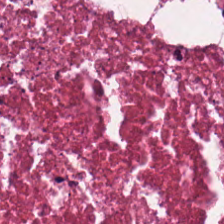H&E.
Debris.
